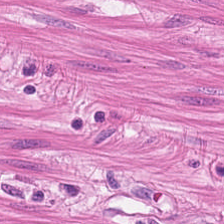Hematoxylin and eosin.
{"tissue_type": "smooth muscle"}
